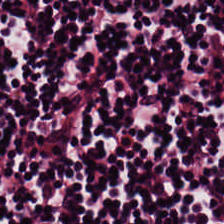Hematoxylin-and-eosin stained section. Whole-slide-image patch. The tissue here is lymphocytes.
